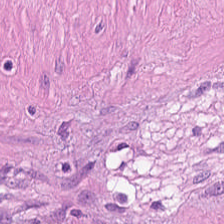20× equivalent magnification · H&E stain. This field is muscularis.
